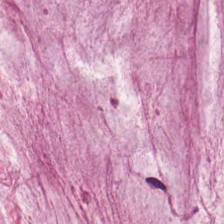H&E; 0.5 µm/px — Tissue = extracellular mucin.
